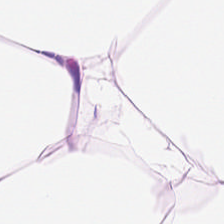H&E-stained tissue section — This field is adipose tissue.
